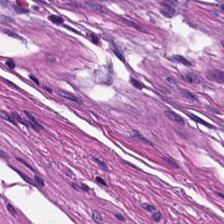224×224 pixel tile; formalin-fixed paraffin-embedded section; H&E stain. Muscularis.
